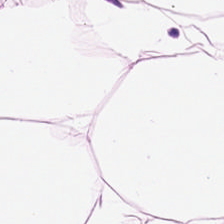Q: What is shown here?
A: The field shows adipose tissue.
